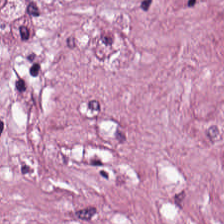Hematoxylin-and-eosin stained section. Tumor stroma.
